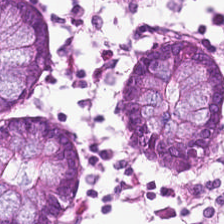H&E-stained tissue section — Showing non-neoplastic colon mucosa.
